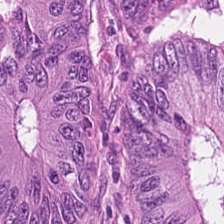Stain: H&E-stained tissue section.
Resolution: 0.5 µm/px.
Classification: malignant epithelium.
